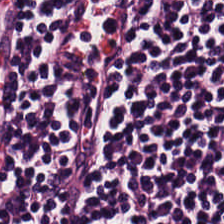H&E. Q: What tissue is shown?
A: The field shows lymphocyte aggregate.
